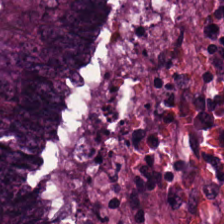H&E.
{"tissue_type": "colorectal adenocarcinoma"}
